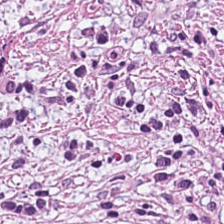Q: What tissue is shown?
A: Tumor stroma.
